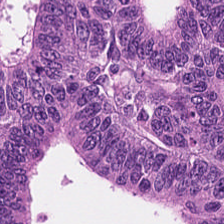The tissue here is colorectal adenocarcinoma epithelium.
